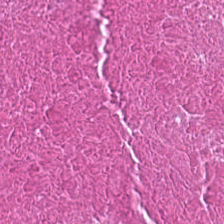H&E-stained tissue section. Whole-slide-image patch. Showing cellular debris.
